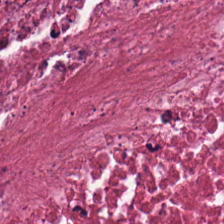Hematoxylin and eosin — Predominantly necrotic debris.
